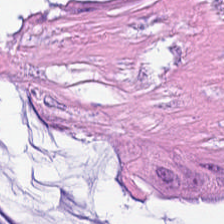H&E-stained tissue section. Predominantly extracellular mucin.
